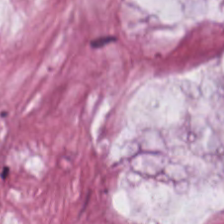0.5 µm/px; hematoxylin-and-eosin stained section. Showing mucus.
